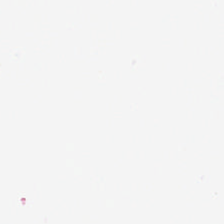Hematoxylin-and-eosin stained section; 0.5 microns per pixel. This field is background (no tissue).
